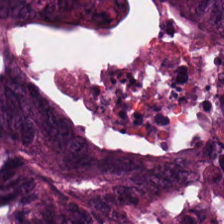H&E stain; formalin-fixed paraffin-embedded section — Q: What tissue is shown?
A: Malignant epithelium.
